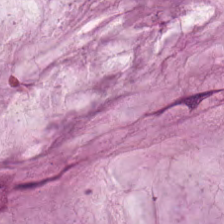Brightfield · H&E-stained tissue section — The predominant tissue is mucus.
